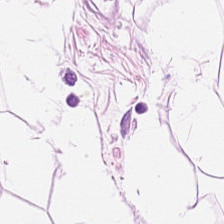0.5 µm per pixel. Hematoxylin and eosin. FFPE tissue section — Histology → adipose.
